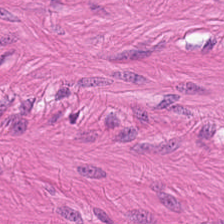H&E stain. Predominant tissue = smooth-muscle tissue.
